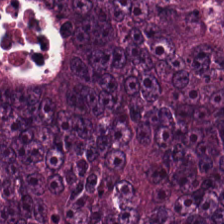H&E. 20× equivalent magnification — {"tissue_type": "colorectal adenocarcinoma epithelium"}
